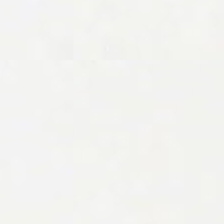Stain: hematoxylin-and-eosin stained section.
Preparation: FFPE.
Acquisition: WSI patch.
Content: background (no tissue).
